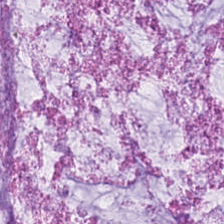H&E stain — This field is extracellular mucin.
